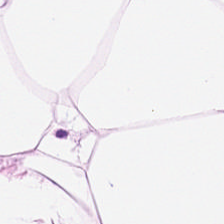Stain: H&E-stained tissue section.
Tile size: 224×224 px tile.
Preparation: FFPE.
Tissue class: adipose tissue.
